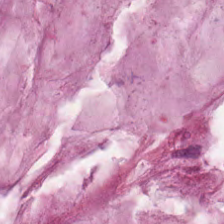H&E — This field is extracellular mucin.
